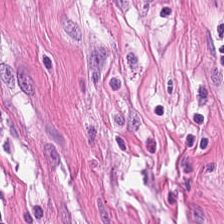Hematoxylin-and-eosin stained section; formalin-fixed paraffin-embedded section; WSI patch.
Showing muscularis.
